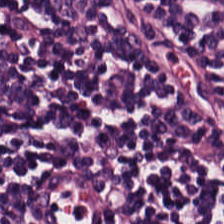Q: What is the predominant tissue type?
A: The field shows lymphoid infiltrate.
